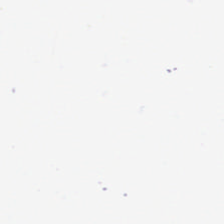Classification: empty background.
